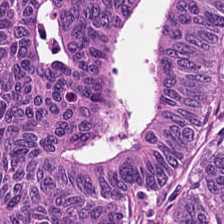H&E-stained tissue section — The predominant tissue is malignant epithelium.
